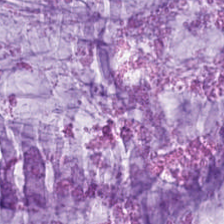H&E; 224×224 pixel tile — Finding — mucin.
